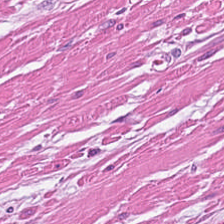20× equivalent magnification; H&E-stained tissue section — Tissue class: smooth-muscle tissue.
